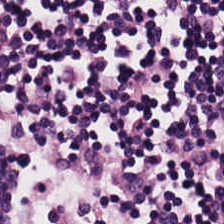0.5 microns per pixel · hematoxylin and eosin. Predominantly lymphocytes.
